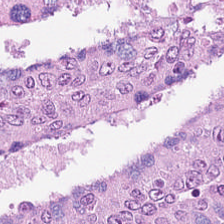H&E stain — This field is tumor epithelium.
